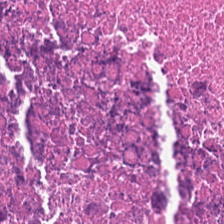Q: What does this patch show?
A: This is necrotic debris.
